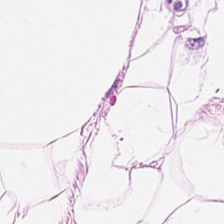H&E-stained tissue section. Q: What does this patch show?
A: This is adipose tissue.
